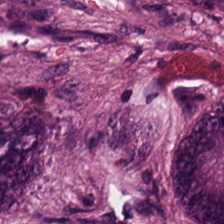Histology — colorectal adenocarcinoma epithelium.
